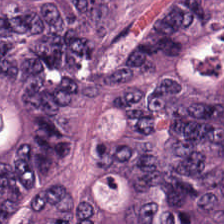H&E stain — This field is tumor epithelium.
